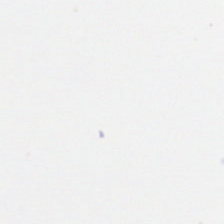No tissue.
